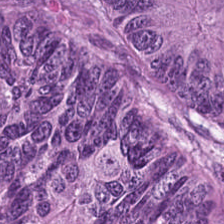Hematoxylin and eosin; WSI patch.
Tissue class = colorectal adenocarcinoma epithelium.
